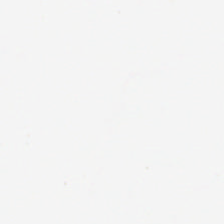{"content": "background (no tissue)"}
